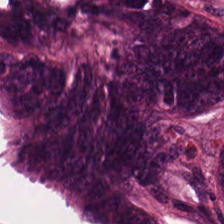Brightfield; hematoxylin-and-eosin stained section. Predominant tissue: colorectal adenocarcinoma.
